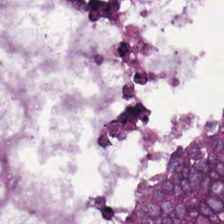Hematoxylin-and-eosin stained section. Tissue type — malignant epithelium.
